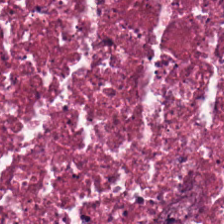Tissue type: cellular debris.
